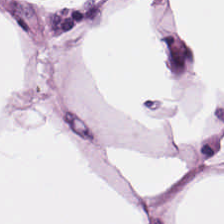H&E-stained tissue section.
The tissue here is adipose.
